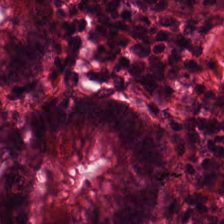H&E-stained tissue section. Q: Identify the tissue.
A: Benign colonic mucosa.
